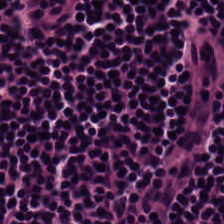Hematoxylin-and-eosin stained section. 224×224 px patch. Tissue: lymphoid infiltrate.
